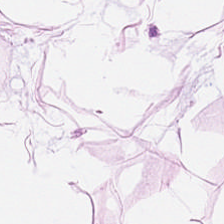H&E stain.
The tissue here is adipocytes.
